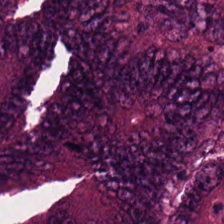H&E stain.
Tissue class: tumor epithelium.
